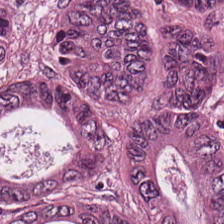Hematoxylin and eosin — Q: Classify this patch.
A: It is malignant epithelium.
